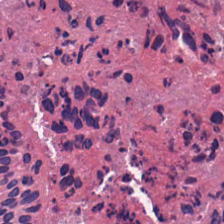H&E stain. Necrotic debris.
